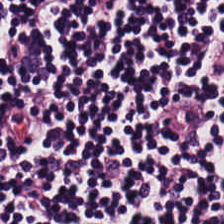224×224 px patch; hematoxylin-and-eosin stained section — The predominant tissue is lymphocyte aggregate.
